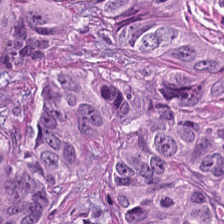0.5 µm per pixel; H&E stain; brightfield microscopy. Predominantly colorectal adenocarcinoma.
